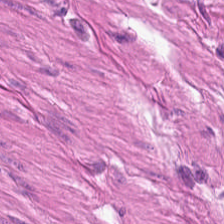Whole-slide-image patch · H&E stain. This patch shows smooth-muscle tissue.
